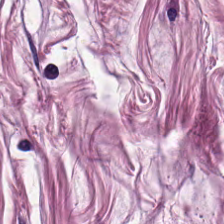H&E-stained tissue section. This field is smooth-muscle tissue.
